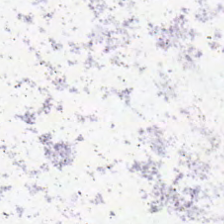224×224 px tile. H&E stain. FFPE.
No tissue present; background only.
